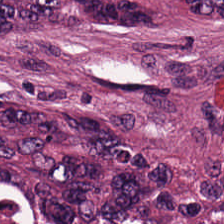Hematoxylin and eosin. FFPE.
Impression — colorectal adenocarcinoma epithelium.
